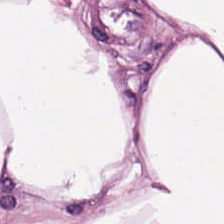Hematoxylin-and-eosin stained section. Q: What tissue type is shown here?
A: It is adipose.
